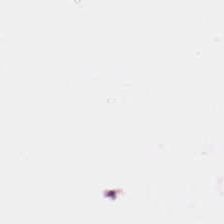Hematoxylin-and-eosin stained section — No tissue present; background only.
